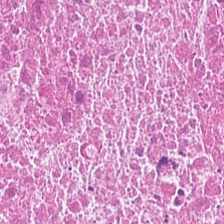Hematoxylin and eosin.
The predominant tissue is cellular debris.
